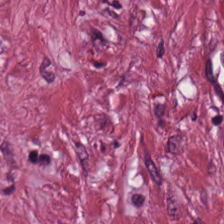H&E-stained tissue section. Histology — desmoplastic stroma.
